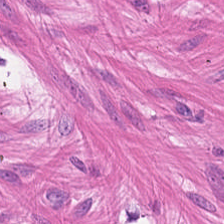Histology → smooth muscle.
